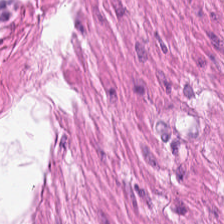{"tissue_type": "smooth muscle"}
